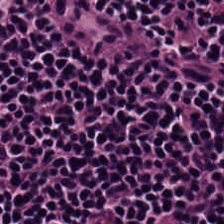Hematoxylin-and-eosin section: lymphocyte aggregate.
